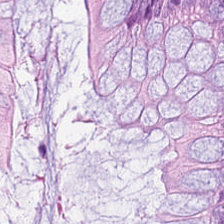H&E-stained tissue section; 224×224 pixel tile — This patch shows normal colonic mucosa.
